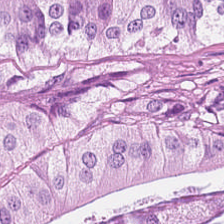Stain: hematoxylin-and-eosin stained section.
Resolution: 0.5 µm/px.
Classification: colorectal adenocarcinoma epithelium.
